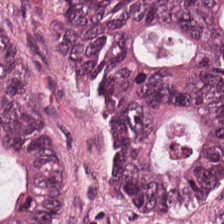Hematoxylin-and-eosin stained section; 0.5 µm/px — Q: What type of tissue is this?
A: Colorectal adenocarcinoma.
